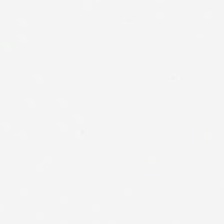0.5 microns per pixel. 224×224 px tile. H&E — The classification is no tissue.
